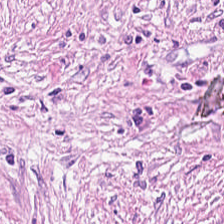20× equivalent magnification · hematoxylin-and-eosin stained section.
Q: What type of tissue is this?
A: It is cancer-associated stroma.
